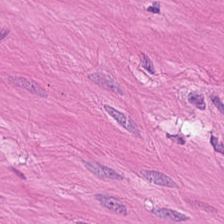224×224 pixel tile; 0.5 µm/px; H&E-stained tissue section.
Predominantly muscularis.
